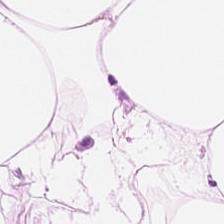H&E · 224×224 px tile.
Tissue class: adipose tissue.
